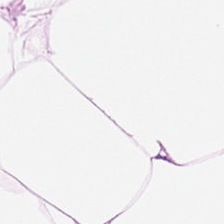Brightfield microscopy · H&E stain · formalin-fixed paraffin-embedded section. Showing adipocytes.
